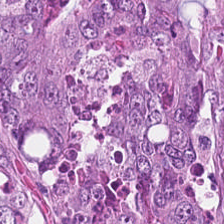H&E-stained tissue section.
Q: What tissue type is shown here?
A: Colorectal adenocarcinoma.
